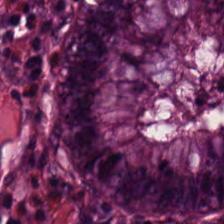H&E stain.
Q: What is the predominant tissue type?
A: It is benign colonic mucosa.
